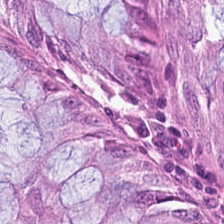Hematoxylin-and-eosin stained section — {"tissue_type": "normal colon mucosa"}
